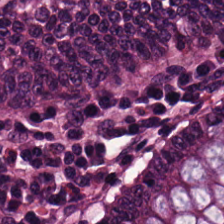Hematoxylin and eosin. Brightfield microscopy — Q: Classify this patch.
A: The field shows normal colonic mucosa.
